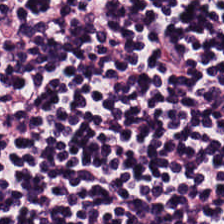H&E stain. Classification = lymphocytes.
